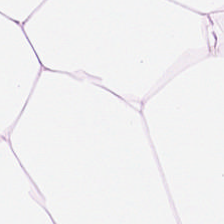Tissue: fat tissue.
